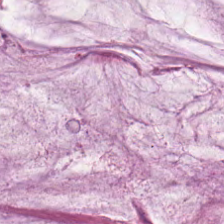Predominant tissue — extracellular mucin.
